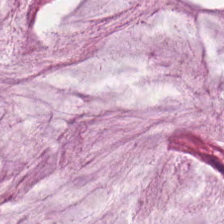H&E-stained tissue section · 0.5 µm per pixel. Predominantly mucus.
